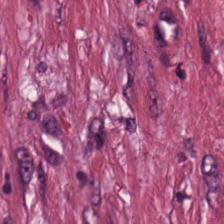H&E. Q: What is shown in this field?
A: Desmoplastic stroma.
